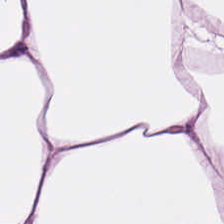Hematoxylin and eosin.
The predominant tissue is fat tissue.
